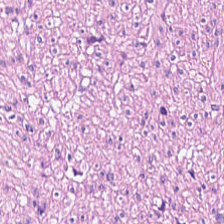Finding → smooth muscle.
